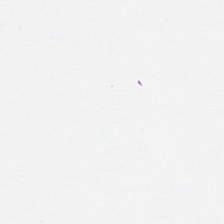Formalin-fixed paraffin-embedded section; hematoxylin-and-eosin stained section. This field is background (no tissue).
